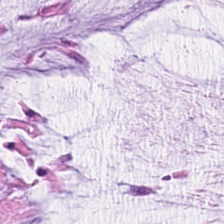Stain: H&E-stained tissue section.
Preparation: FFPE.
Classification: mucus.
